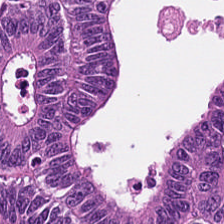Whole-slide-image patch. H&E stain — Q: What is shown here?
A: This is tumor epithelium.
